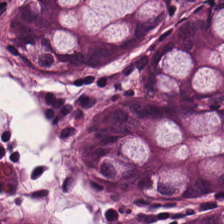The tissue class is normal colon mucosa.
